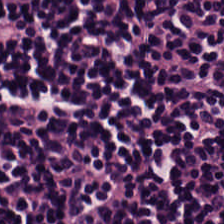H&E; whole-slide-image patch. Q: What does this patch show?
A: Lymphocytes.
